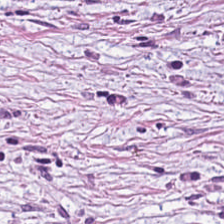Stain: hematoxylin and eosin.
Tissue: tumor-associated stroma.
